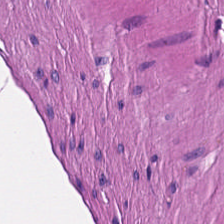FFPE · H&E-stained tissue section. {"tissue_type": "smooth muscle"}
